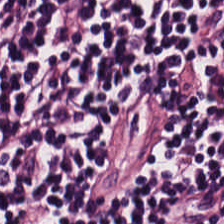Whole-slide-image patch · H&E — Q: What tissue type is shown here?
A: This is lymphocyte aggregate.
